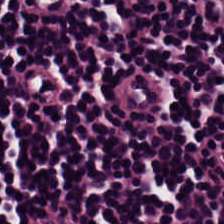H&E patch showing lymphocytic infiltrate.
